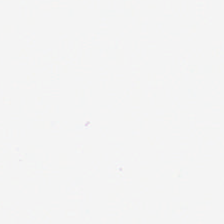Q: What does this patch show?
A: This is no tissue.
